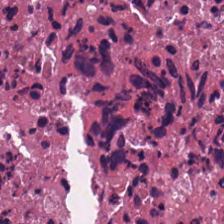H&E-stained tissue section.
Histology — debris.
